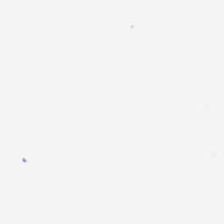{"content": "no tissue"}
